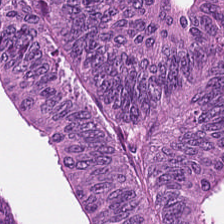H&E. Colorectal adenocarcinoma.
